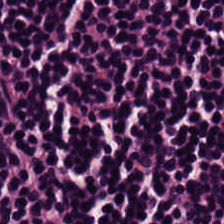H&E stain. 224×224 pixel tile.
The predominant tissue is lymphocytic infiltrate.
